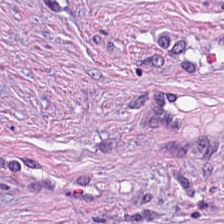Q: What type of tissue is this?
A: The field shows tumor-associated stroma.
